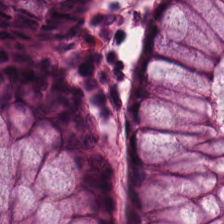H&E · 224×224 pixel tile.
Impression → non-neoplastic colon mucosa.
